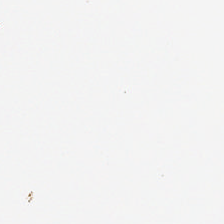Stain: H&E-stained tissue section.
Preparation: FFPE tissue section.
Classification: no tissue.
